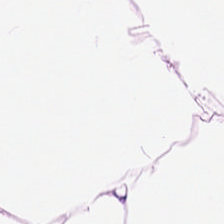Brightfield microscopy. H&E.
Tissue type: adipocytes.
